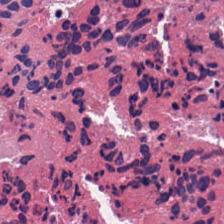0.5 µm/px. H&E stain — Predominantly necrotic debris.
